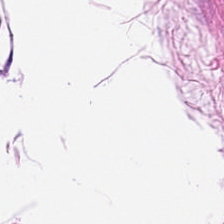Hematoxylin and eosin; 0.5 microns per pixel; FFPE.
Tissue class — fat tissue.
